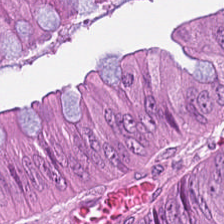Hematoxylin and eosin. 224×224 pixel tile. This field is colorectal adenocarcinoma.
